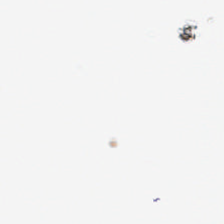Hematoxylin and eosin. Q: Classify this patch.
A: It is empty background.
